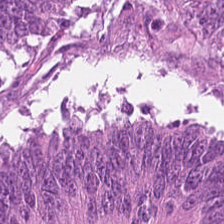H&E — colorectal adenocarcinoma.
